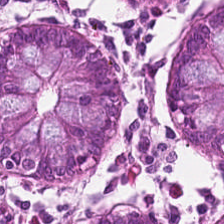H&E stain — The predominant tissue is benign colonic mucosa.
